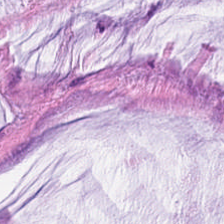Showing mucin.
